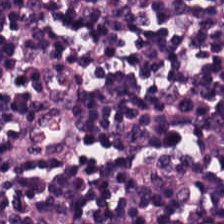H&E stain. This field is lymphocytes.
